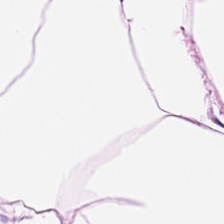H&E. 0.5 µm/px.
{"tissue_type": "fat tissue"}
